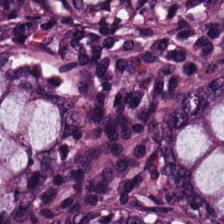Q: What is shown here?
A: It is non-neoplastic colon mucosa.
